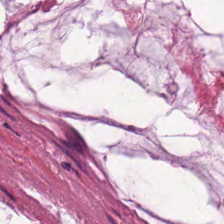Brightfield. 224×224 px tile. H&E. The predominant tissue is mucin.
